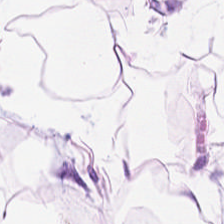Hematoxylin-and-eosin stained section. The tissue is fat tissue.
